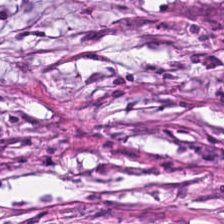H&E stain. Q: What is shown in this field?
A: Cancer-associated stroma.
